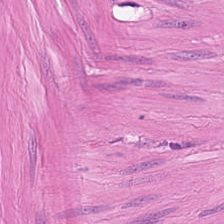Brightfield microscopy · H&E-stained tissue section. The predominant tissue is smooth muscle.
